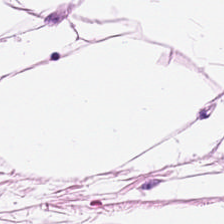H&E — This field is adipocytes.
